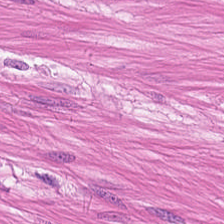Q: Identify the tissue.
A: This is smooth muscle.
